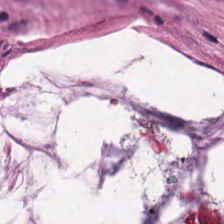H&E-stained tissue section · whole-slide-image patch.
Q: Classify this patch.
A: Mucin.
